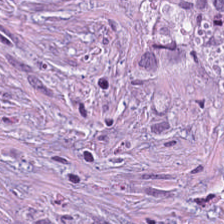20× equivalent magnification. H&E stain — Tumor-associated stroma.
